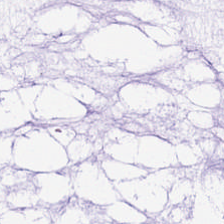Histology → extracellular mucin.
